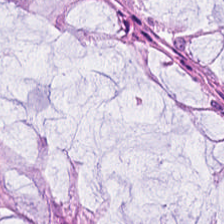H&E · whole-slide-image patch · FFPE. Tissue class: benign colonic mucosa.
